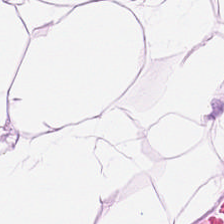H&E — Adipose tissue.
